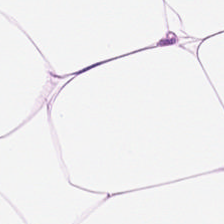Q: What is shown here?
A: Adipose tissue.
